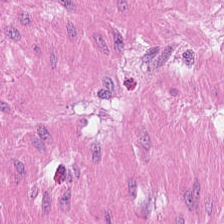Formalin-fixed paraffin-embedded section; 224×224 pixel tile; H&E-stained tissue section.
This field is smooth-muscle tissue.
